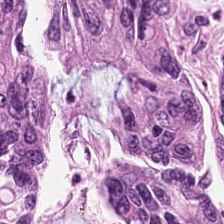Hematoxylin-and-eosin stained section — The predominant tissue is colorectal adenocarcinoma.
